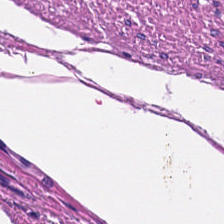Hematoxylin and eosin. 0.5 µm/px. {"tissue_type": "muscularis"}
